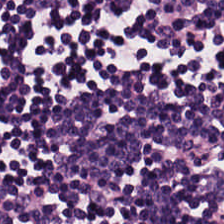Formalin-fixed paraffin-embedded section; 224×224 px tile; H&E stain.
Tissue type = lymphocytes.
